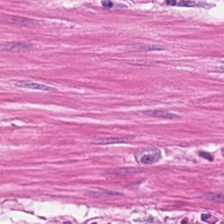224×224 pixel tile. H&E. FFPE tissue section.
Histology — muscularis.
